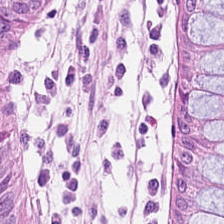H&E — Showing benign colonic mucosa.
